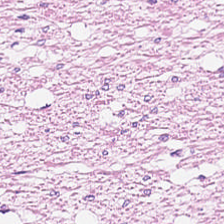H&E.
Tissue type — smooth muscle.
